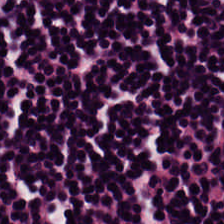H&E stain; FFPE — Q: What tissue type is shown here?
A: The field shows lymphocytes.
